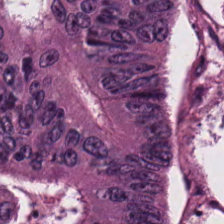H&E.
Tissue type: colorectal adenocarcinoma epithelium.
